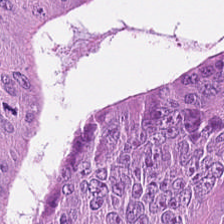H&E-stained tissue section. FFPE tissue section.
Q: What is shown in this field?
A: The field shows tumor epithelium.
